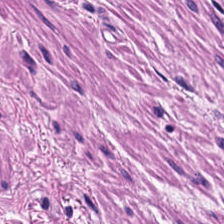Hematoxylin-and-eosin stained section.
Showing smooth muscle.
